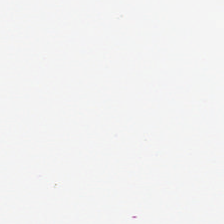This patch shows background (no tissue).
